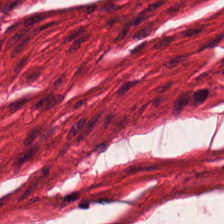H&E stain — {"tissue_type": "smooth muscle"}
